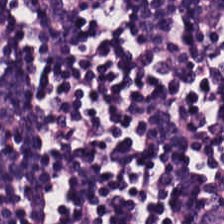H&E stain; 224×224 px tile — Impression — lymphocytic infiltrate.
